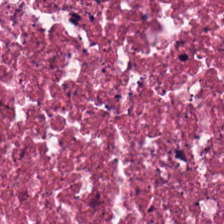Brightfield · hematoxylin and eosin. {"tissue_type": "cellular debris"}
